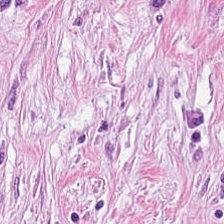Q: What does this patch show?
A: Cancer-associated stroma.
